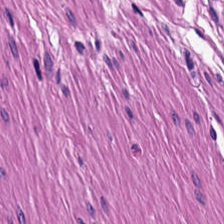H&E stain · brightfield.
This patch shows muscularis.
